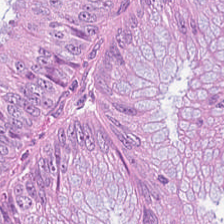The tissue type is adenocarcinoma.
